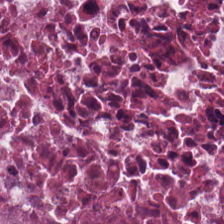224×224 pixel tile. Hematoxylin and eosin — Showing cellular debris.
